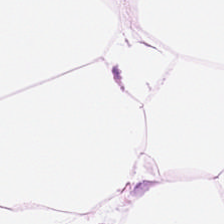224×224 px tile · hematoxylin and eosin — Q: What is shown in this field?
A: This is adipose tissue.
